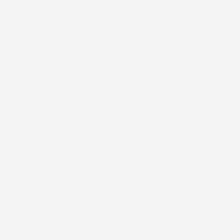Content: background.
